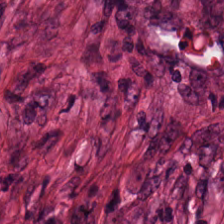H&E stain; 224×224 px patch. Histology → desmoplastic stroma.
